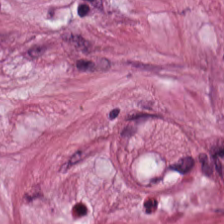0.5 µm per pixel. Formalin-fixed paraffin-embedded section. H&E-stained tissue section — The tissue here is tumor stroma.
